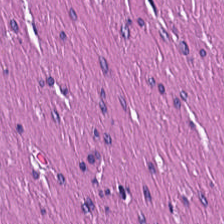Hematoxylin and eosin · 20× equivalent magnification · 224×224 px tile.
Tissue class = smooth muscle.
